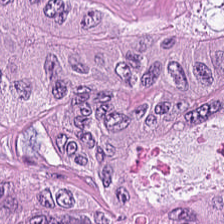Hematoxylin and eosin.
Q: What is shown here?
A: Colorectal adenocarcinoma epithelium.
